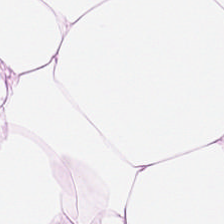Hematoxylin-and-eosin stained section.
Q: What tissue type is shown here?
A: The field shows adipose.
